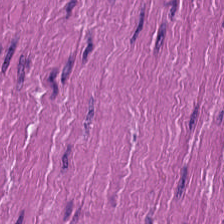The tissue here is smooth muscle.
